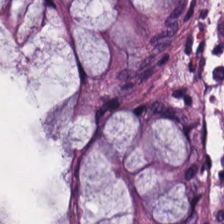H&E-stained tissue section. Tissue class = normal colon mucosa.
